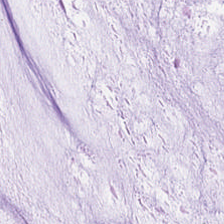Hematoxylin-and-eosin stained section — {"tissue_type": "mucus"}
